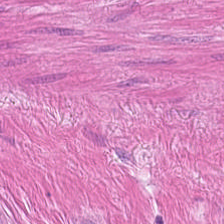H&E. Formalin-fixed paraffin-embedded section.
Showing muscularis.
